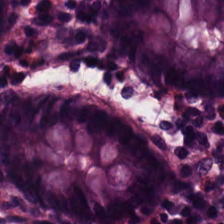H&E.
Predominantly benign colonic mucosa.
